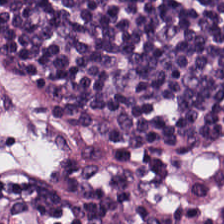Hematoxylin and eosin; whole-slide-image patch.
Predominantly lymphocytes.
